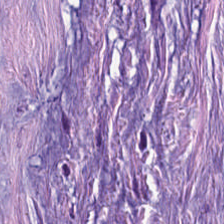Hematoxylin and eosin · 0.5 µm/px. Q: Classify this patch.
A: It is cancer-associated stroma.
